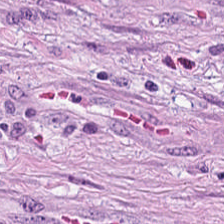WSI patch. Hematoxylin and eosin. FFPE tissue section. This field is desmoplastic stroma.
